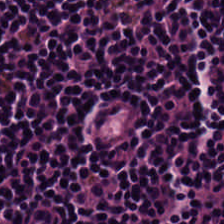H&E · 0.5 microns per pixel — The tissue type is lymphocytes.
